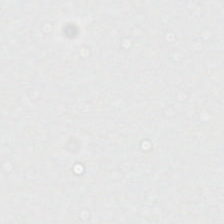H&E — Histology — background.
